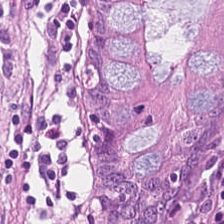H&E — Tissue: normal colonic mucosa.
